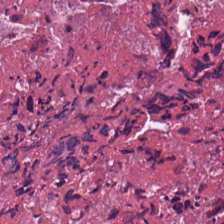Stain: H&E-stained tissue section.
Predominant tissue: cellular debris.
